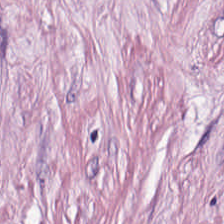H&E; FFPE — Tissue class: cancer-associated stroma.
